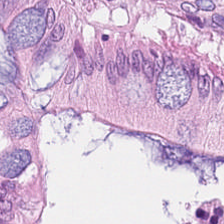H&E-stained tissue section — Predominantly normal colonic mucosa.
